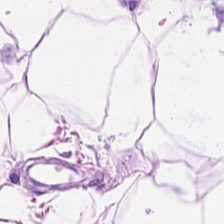H&E-stained tissue section · 224×224 px patch · 0.5 µm per pixel — Adipose tissue.
